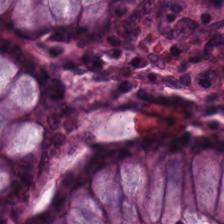0.5 µm per pixel; H&E-stained tissue section. Finding → normal colonic mucosa.
